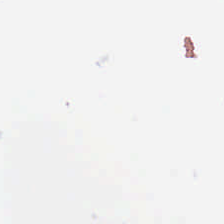The content is empty background.
